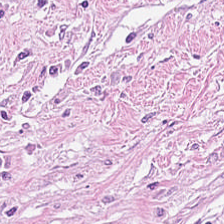Stain: hematoxylin-and-eosin stained section.
Predominant tissue: cancer-associated stroma.
